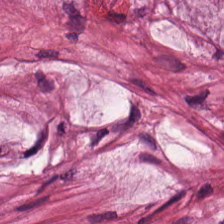H&E patch showing mucus.
